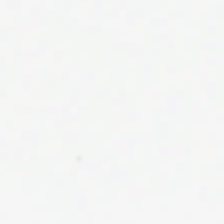Stain: hematoxylin and eosin.
Preparation: FFPE.
Classification: background.
